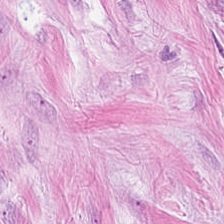H&E-stained tissue section. Finding → tumor stroma.
